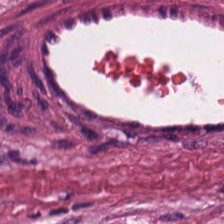Stain: hematoxylin and eosin.
Preparation: FFPE tissue section.
Resolution: 0.5 microns per pixel.
Predominant tissue: desmoplastic stroma.
